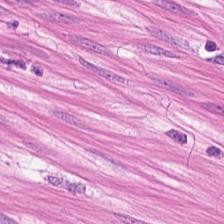H&E-stained tissue section.
Q: What tissue is shown?
A: It is smooth muscle.
